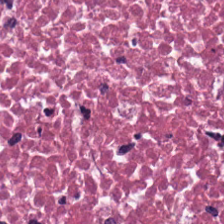Hematoxylin-and-eosin section: necrotic debris.
